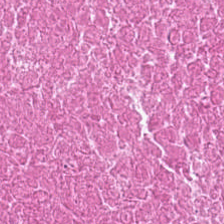H&E-stained tissue section; brightfield — The tissue here is necrotic debris.
